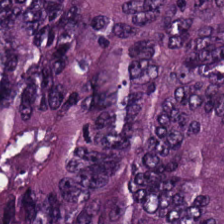The classification is tumor epithelium.
